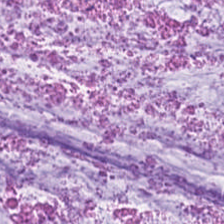Hematoxylin and eosin. Tissue class = extracellular mucin.
